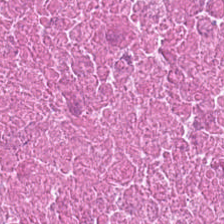The classification is debris.
